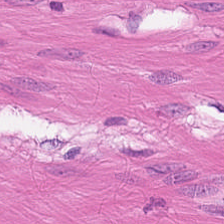Showing smooth-muscle tissue.
